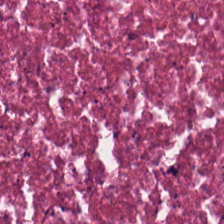Predominantly cellular debris.
